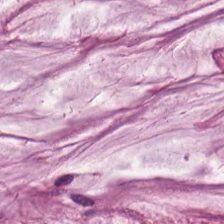WSI patch · H&E stain.
Finding — mucus.
